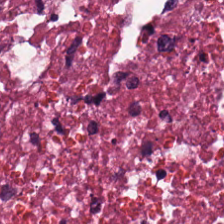Whole-slide-image patch · 224×224 px tile · H&E — Predominantly cellular debris.
